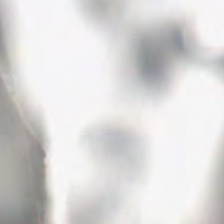H&E · FFPE. No tissue present; background only.
